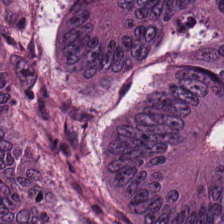H&E stain; FFPE — {"tissue_type": "colorectal adenocarcinoma epithelium"}
